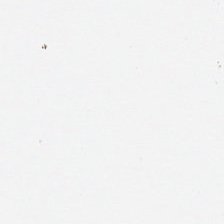Hematoxylin and eosin. This field is background (no tissue).
